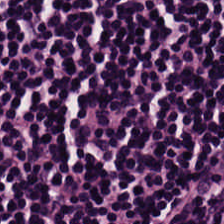Stain: H&E-stained tissue section.
Preparation: formalin-fixed paraffin-embedded section.
Predominant tissue: lymphocyte aggregate.
